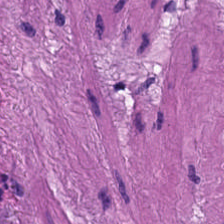H&E — This patch shows muscularis.
